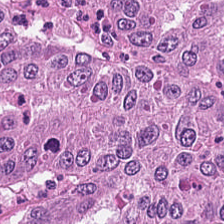H&E-stained tissue section. Histology — adenocarcinoma.
